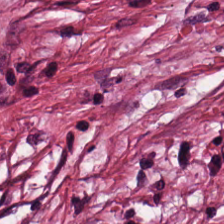FFPE; H&E.
Showing desmoplastic stroma.
